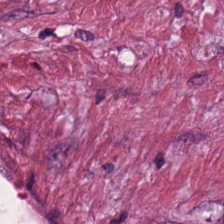H&E; FFPE tissue section — Showing tumor-associated stroma.
